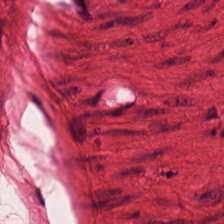H&E stain.
Impression → muscularis.
